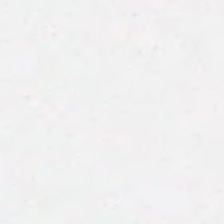Whole-slide-image patch · hematoxylin-and-eosin stained section · 224×224 pixel tile — No tissue present; background only.
